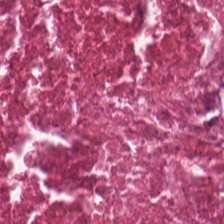Hematoxylin-and-eosin stained section — The predominant tissue is necrotic debris.
